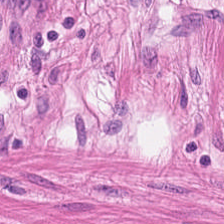H&E — Q: What type of tissue is this?
A: This is smooth muscle.
